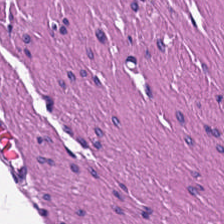Hematoxylin-and-eosin section: smooth-muscle tissue.
